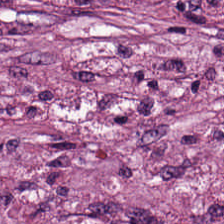224×224 px tile · H&E-stained tissue section · whole-slide-image patch.
Q: What is shown in this field?
A: Tumor stroma.
